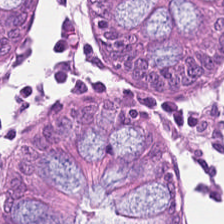Hematoxylin and eosin · WSI patch. Q: Classify this patch.
A: This is normal colonic mucosa.
